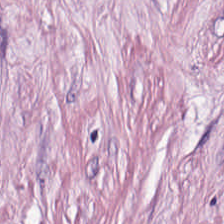H&E-stained tissue section. 0.5 µm/px. FFPE tissue section — Q: Identify the tissue.
A: Tumor-associated stroma.
